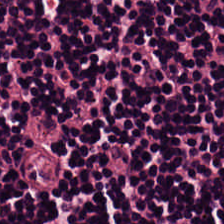H&E-stained tissue section.
The tissue here is lymphoid infiltrate.
